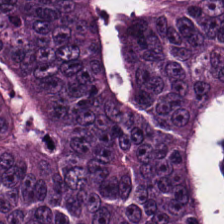Q: What is shown in this field?
A: Adenocarcinoma.
